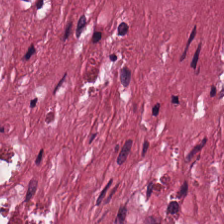WSI patch. H&E. Formalin-fixed paraffin-embedded section — Q: What tissue is shown?
A: Desmoplastic stroma.
